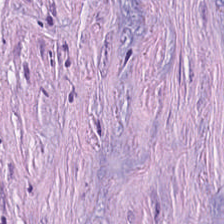WSI patch; hematoxylin-and-eosin stained section. Predominant tissue = desmoplastic stroma.
